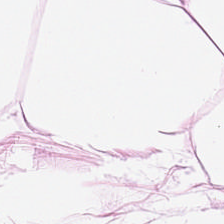Q: What does this patch show?
A: Adipocytes.
